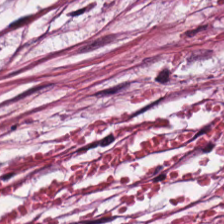Hematoxylin-and-eosin stained section — This field is tumor-associated stroma.
